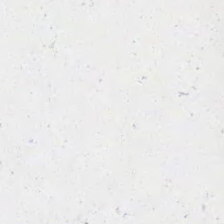Hematoxylin and eosin. Q: What is shown in this field?
A: No tissue.
